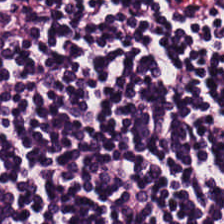Brightfield · hematoxylin and eosin · 0.5 microns per pixel — Predominant tissue: lymphoid infiltrate.
